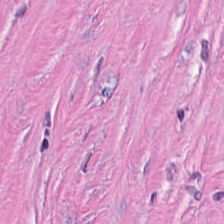Hematoxylin and eosin — {"tissue_type": "cancer-associated stroma"}
